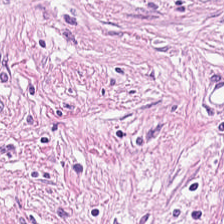224×224 px tile · H&E stain — Predominant tissue — desmoplastic stroma.
